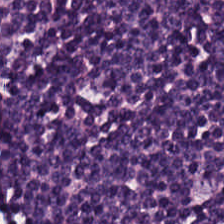Hematoxylin and eosin · 224×224 px patch. Classification: lymphocyte aggregate.
